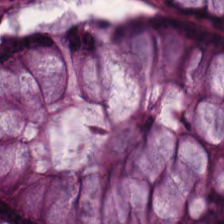0.5 µm/px; hematoxylin and eosin — Q: Identify the tissue.
A: The field shows normal colon mucosa.
